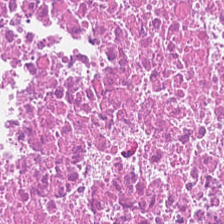Hematoxylin-and-eosin stained section · FFPE tissue section · brightfield.
The classification is debris.
